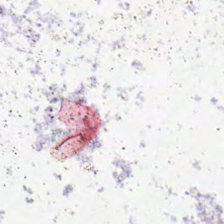Hematoxylin-and-eosin stained section. FFPE — The field content is empty background.
